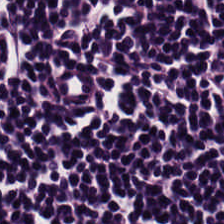Classification = lymphoid infiltrate.
